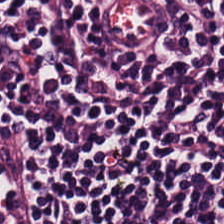Hematoxylin-and-eosin stained section — The tissue here is lymphocyte aggregate.
